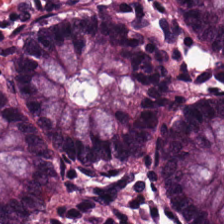224×224 px patch · H&E stain — This field is benign colonic mucosa.
